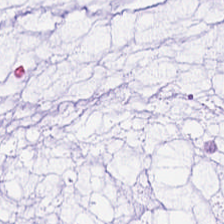H&E-stained tissue section. Whole-slide-image patch — The predominant tissue is extracellular mucin.
